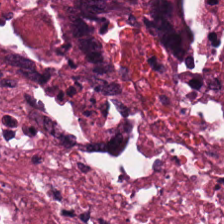H&E — Predominantly necrotic debris.
